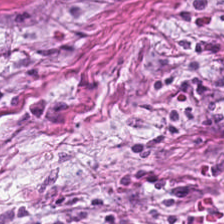H&E-stained tissue section — Showing tumor stroma.
